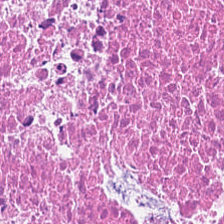224×224 pixel tile. FFPE tissue section. Hematoxylin-and-eosin stained section.
Tissue type: necrotic debris.
